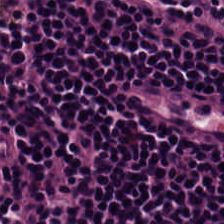Hematoxylin-and-eosin stained section. Q: What is the predominant tissue type?
A: It is lymphocytes.
